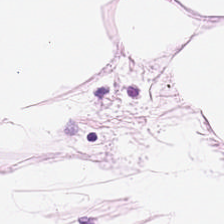Hematoxylin and eosin; 0.5 µm/px — This patch shows adipose tissue.
